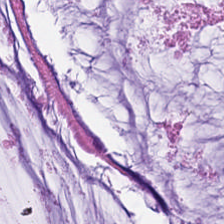224×224 px tile · H&E-stained tissue section · 0.5 microns per pixel — Mucus.
